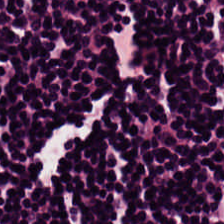H&E patch showing lymphocytes.
